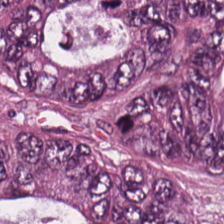H&E-stained tissue section. The predominant tissue is tumor epithelium.
